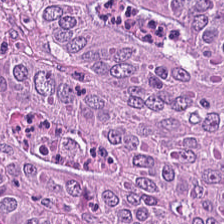{"tissue_type": "malignant epithelium"}
